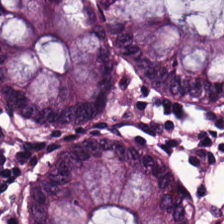H&E-stained tissue section.
Tissue type = non-neoplastic colon mucosa.
